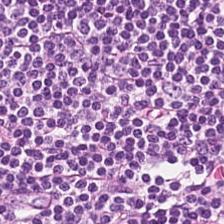20× equivalent magnification · FFPE · H&E. Tissue — lymphocytes.
